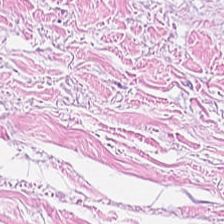Hematoxylin-and-eosin stained section. Q: What tissue is shown?
A: This is cancer-associated stroma.
